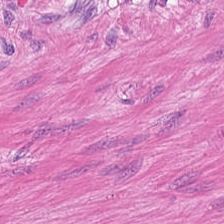Hematoxylin and eosin; WSI patch — Showing smooth muscle.
